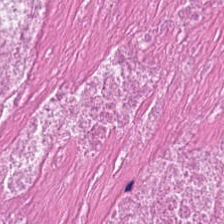224×224 px patch; brightfield microscopy; H&E stain.
Finding → debris.
